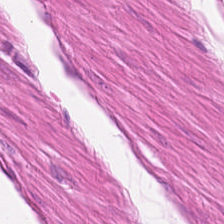Stain: hematoxylin-and-eosin stained section.
Predominant tissue: smooth muscle.
